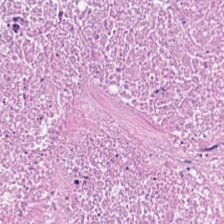0.5 microns per pixel; H&E.
{"tissue_type": "cellular debris"}
